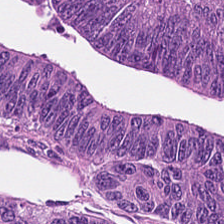Hematoxylin-and-eosin stained section; brightfield microscopy. This field is tumor epithelium.
